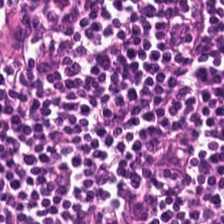H&E stain. Q: Classify this patch.
A: The field shows lymphocytic infiltrate.
